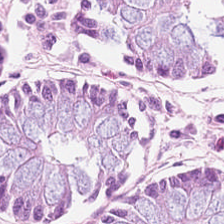H&E patch showing benign colonic mucosa.
